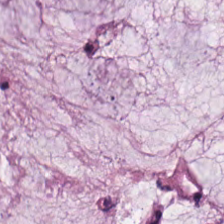20× equivalent magnification · H&E-stained tissue section. Mucin.
